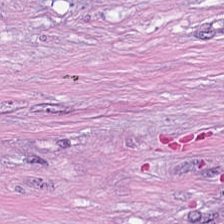224×224 pixel tile · hematoxylin-and-eosin stained section — The tissue class is tumor-associated stroma.
